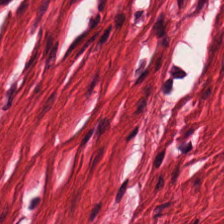Tissue class = muscularis.
